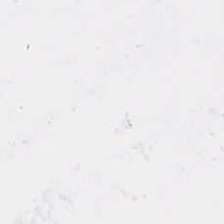224×224 px patch; H&E-stained tissue section — Background (no tissue).
